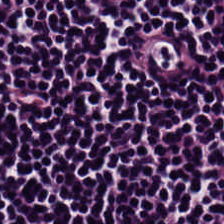Tissue class — lymphoid infiltrate.
